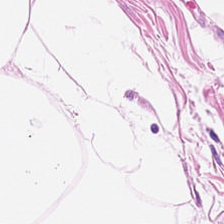Hematoxylin and eosin. Q: What tissue type is shown here?
A: This is adipose.
